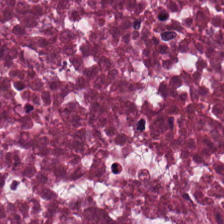Hematoxylin-and-eosin stained section — The predominant tissue is necrotic debris.
